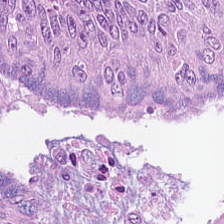20× equivalent magnification · brightfield microscopy · H&E stain. Finding — adenocarcinoma.
